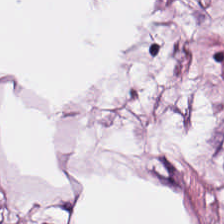0.5 microns per pixel · H&E · 224×224 px patch — Tissue class: fat tissue.
